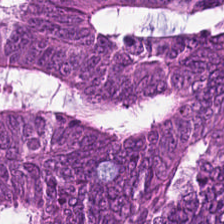H&E stain.
This patch shows tumor epithelium.
